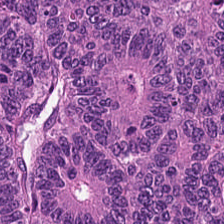Stain: H&E-stained tissue section.
Tissue: adenocarcinoma.
